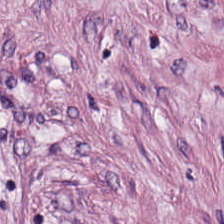Hematoxylin and eosin; 224×224 pixel tile — Tissue: tumor-associated stroma.
